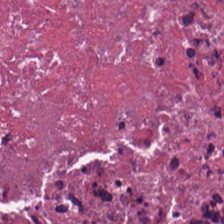Tissue type: cellular debris.
